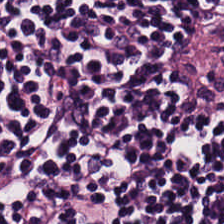H&E stain · 224×224 px patch. This field is lymphocyte aggregate.
